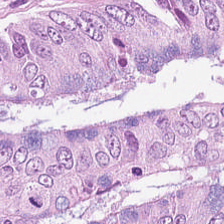Stain: hematoxylin and eosin.
Tissue: tumor epithelium.
